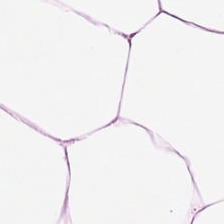Tissue — fat tissue.
